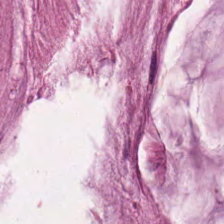224×224 px patch. Hematoxylin-and-eosin stained section. 0.5 µm per pixel — This field is mucin.
